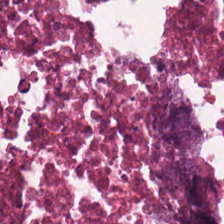20× equivalent magnification; hematoxylin-and-eosin stained section; FFPE. The predominant tissue is cellular debris.
